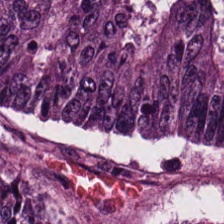Hematoxylin-and-eosin stained section — Showing malignant epithelium.
